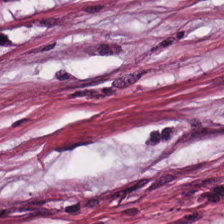0.5 µm per pixel; H&E stain. Predominantly cancer-associated stroma.
